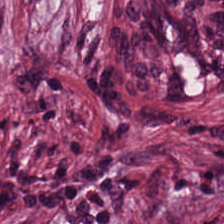Hematoxylin and eosin. The tissue type is cancer-associated stroma.
